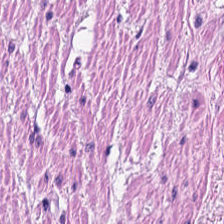WSI patch; H&E.
Predominantly muscularis.
